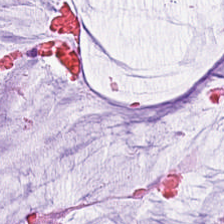Stain: H&E.
Acquisition: brightfield.
Tissue class: extracellular mucin.
